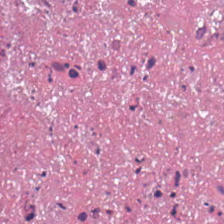H&E-stained tissue section · 224×224 pixel tile — Impression — cellular debris.
